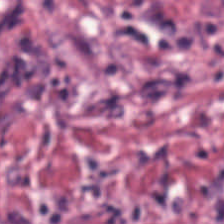FFPE. 0.5 µm/px. Hematoxylin-and-eosin stained section.
Classification = desmoplastic stroma.
